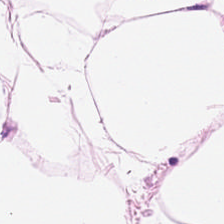Hematoxylin-and-eosin stained section. Tissue class — adipose.
